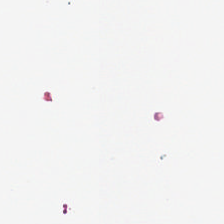Hematoxylin and eosin — This field is background (no tissue).
